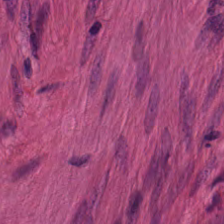Q: What does this patch show?
A: It is smooth-muscle tissue.
